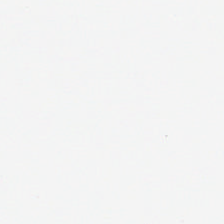H&E-stained tissue section; 20× equivalent magnification; FFPE tissue section — Q: What does this patch show?
A: This is no tissue.
